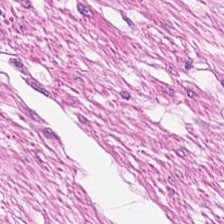224×224 px patch; 0.5 µm/px; hematoxylin-and-eosin stained section. The tissue type is smooth muscle.
